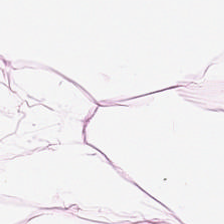Hematoxylin and eosin.
This field is adipose tissue.
